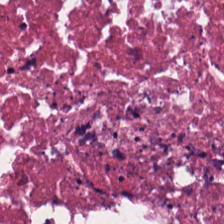224×224 px patch · hematoxylin and eosin — This patch shows cellular debris.
